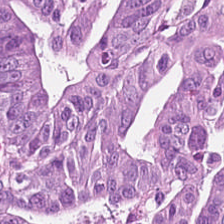Stain: hematoxylin and eosin.
Acquisition: whole-slide-image patch.
Resolution: 0.5 µm/px.
Tissue type: tumor epithelium.
